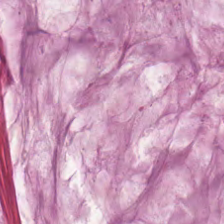Stain: hematoxylin and eosin.
Tile size: 224×224 px patch.
Acquisition: whole-slide-image patch.
Tissue class: extracellular mucin.
